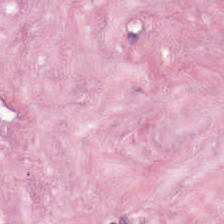The tissue is tumor stroma.
